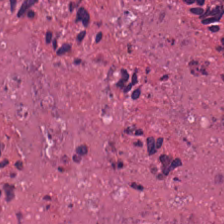H&E-stained tissue section — This field is necrotic debris.
